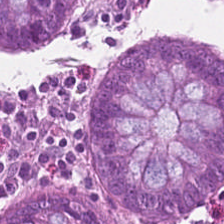H&E-stained tissue section.
The predominant tissue is normal colon mucosa.
